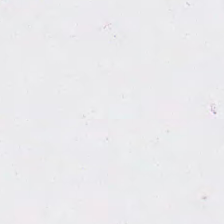Finding → no tissue.
